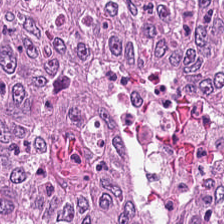H&E stain.
Predominant tissue — colorectal adenocarcinoma epithelium.
